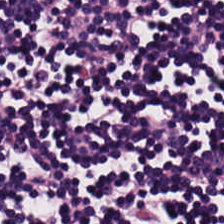H&E. Tissue: lymphocytes.
